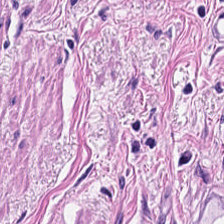H&E-stained tissue section.
Q: What does this patch show?
A: The field shows muscularis.
